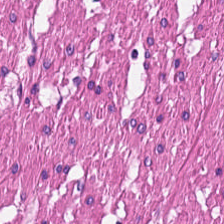Formalin-fixed paraffin-embedded section · hematoxylin and eosin. Tissue = smooth muscle.
